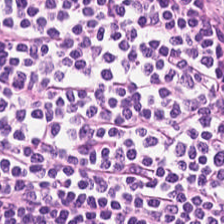H&E-stained tissue section.
Showing lymphoid infiltrate.
